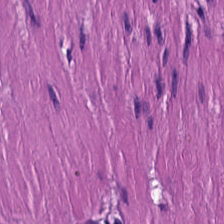Hematoxylin-and-eosin section: smooth-muscle tissue.
